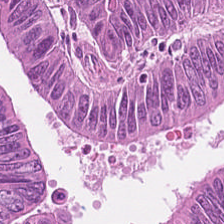H&E.
Predominantly colorectal adenocarcinoma epithelium.
